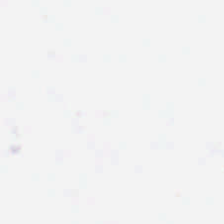H&E stain; 224×224 px patch.
This field is background (no tissue).
